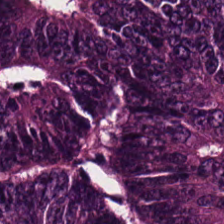224×224 pixel tile; hematoxylin-and-eosin stained section; brightfield.
Impression → adenocarcinoma.
